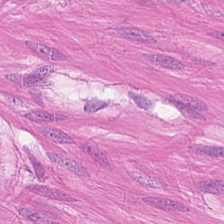H&E. Predominantly smooth-muscle tissue.
